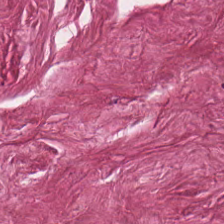Hematoxylin and eosin; formalin-fixed paraffin-embedded section.
Tissue type — cancer-associated stroma.
